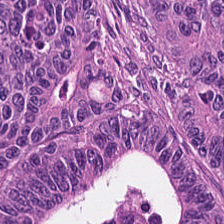H&E-stained tissue section — Showing tumor epithelium.
